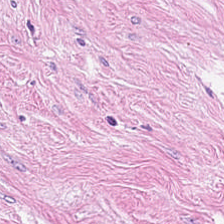The predominant tissue is cancer-associated stroma.
